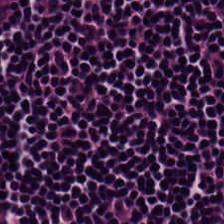FFPE tissue section. Hematoxylin-and-eosin stained section.
Q: Identify the tissue.
A: This is lymphocytic infiltrate.
